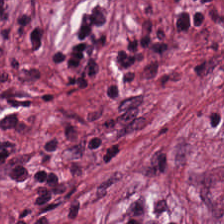Formalin-fixed paraffin-embedded section. 224×224 pixel tile. H&E stain. Tissue type: tumor-associated stroma.
